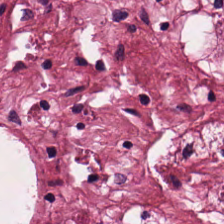H&E-stained tissue section. {"tissue_type": "desmoplastic stroma"}
